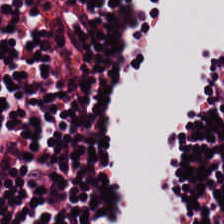Hematoxylin and eosin; 224×224 px patch.
{"tissue_type": "lymphoid infiltrate"}
